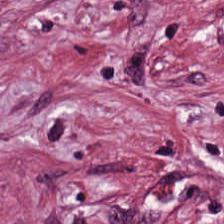Brightfield microscopy · hematoxylin and eosin. The predominant tissue is tumor stroma.
